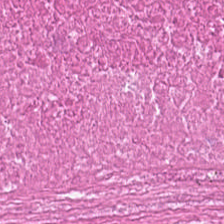Whole-slide-image patch. H&E. The predominant tissue is necrotic debris.
